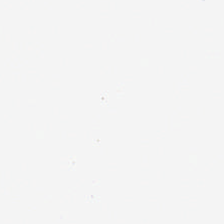Stain: hematoxylin-and-eosin stained section.
Content: no tissue.
